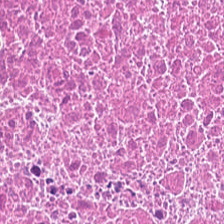Stain: H&E-stained tissue section.
Resolution: 0.5 µm/px.
Classification: debris.
